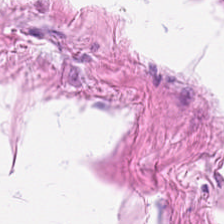FFPE tissue section; hematoxylin and eosin. Muscularis.
